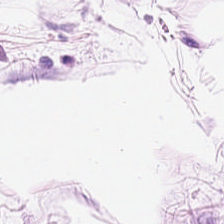H&E-stained tissue section — This field is fat tissue.
